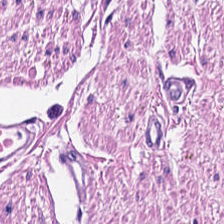Tissue class — smooth muscle.
